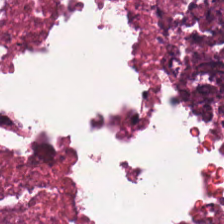Stain: H&E stain.
Tile size: 224×224 px tile.
Preparation: FFPE tissue section.
Tissue type: cellular debris.
